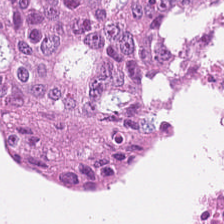H&E.
Tissue class — debris.
